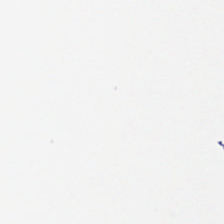224×224 px patch · hematoxylin and eosin. Background — no tissue in this field.
